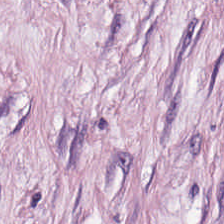224×224 px tile. Hematoxylin-and-eosin stained section. This field is cancer-associated stroma.
